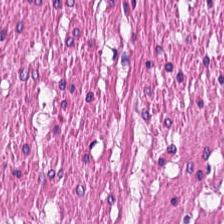Q: Classify this patch.
A: The field shows smooth muscle.
